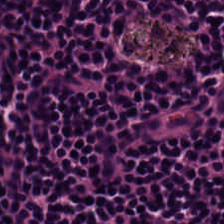Whole-slide-image patch; H&E stain.
Q: What is shown in this field?
A: Lymphocytes.
